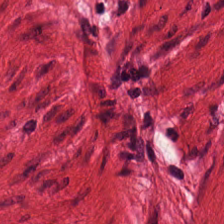224×224 px patch; hematoxylin-and-eosin stained section; FFPE tissue section.
This field is smooth-muscle tissue.
